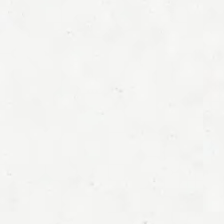Stain: hematoxylin and eosin.
Preparation: formalin-fixed paraffin-embedded section.
Tile size: 224×224 pixel tile.
Content: background.
